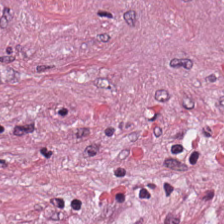FFPE · H&E stain · 224×224 px patch. {"tissue_type": "tumor stroma"}
